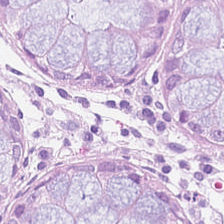The predominant tissue is normal colon mucosa.
